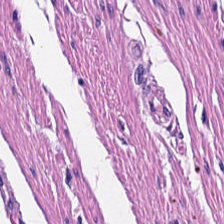Hematoxylin and eosin — Histology — smooth muscle.
